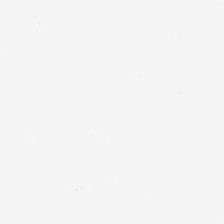No tissue present; background only.
